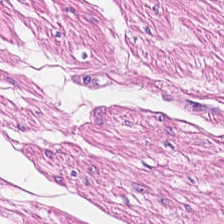H&E stain — Q: What is shown in this field?
A: It is smooth-muscle tissue.
